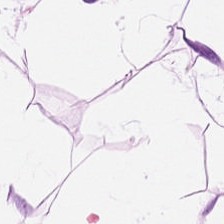WSI patch. H&E stain.
Q: What type of tissue is this?
A: This is adipocytes.
